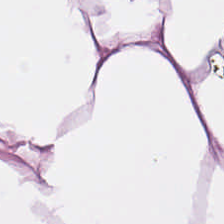H&E stain — Q: What is shown in this field?
A: It is adipocytes.
